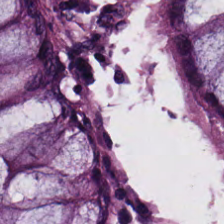224×224 px tile; H&E stain. Tissue: non-neoplastic colon mucosa.
